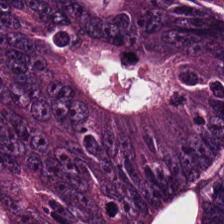H&E — adenocarcinoma.
